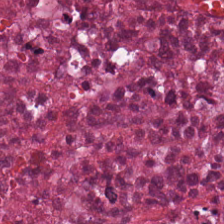Hematoxylin and eosin — Finding — necrotic debris.
